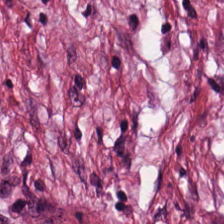H&E stain — The tissue is tumor stroma.
